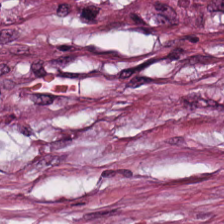H&E-stained tissue section. 0.5 microns per pixel — Impression — cancer-associated stroma.
